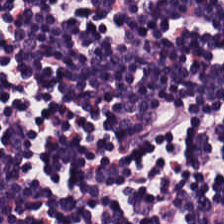H&E-stained tissue section. Predominant tissue — lymphocytic infiltrate.
